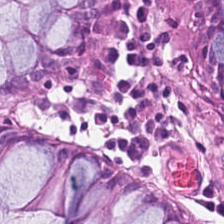Stain: H&E.
Acquisition: WSI patch.
Tissue class: normal colonic mucosa.
